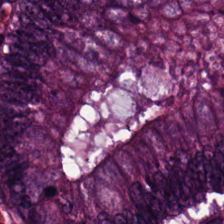Whole-slide-image patch · H&E stain. Impression → colorectal adenocarcinoma.
